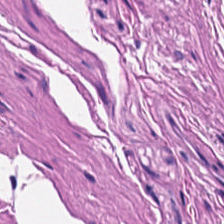{"tissue_type": "muscularis"}
